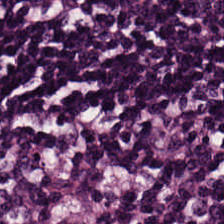H&E stain. 20× equivalent magnification. Predominant tissue: lymphocyte aggregate.
